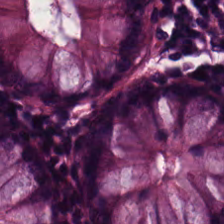H&E — normal colon mucosa.
